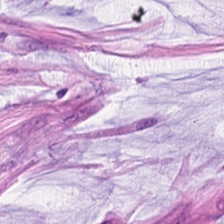Hematoxylin and eosin. The tissue here is extracellular mucin.
